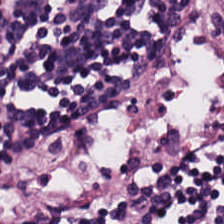Stain: hematoxylin and eosin.
Resolution: 20× equivalent magnification.
Acquisition: brightfield microscopy.
Tissue: lymphocytic infiltrate.
